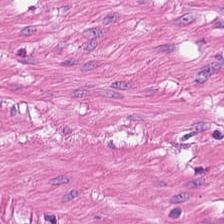Formalin-fixed paraffin-embedded section; H&E stain — Muscularis.
